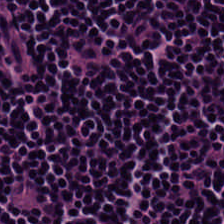Q: What tissue is shown?
A: Lymphocytic infiltrate.
